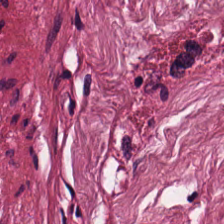H&E-stained tissue section. Formalin-fixed paraffin-embedded section. Predominant tissue: desmoplastic stroma.
